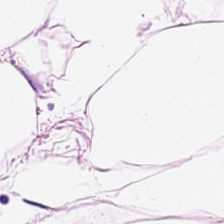20× equivalent magnification. H&E stain. Brightfield — {"tissue_type": "adipocytes"}
